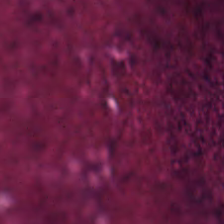Cellular debris.
